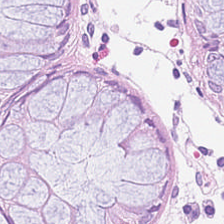224×224 px tile · hematoxylin and eosin · 20× equivalent magnification.
Predominantly benign colonic mucosa.
